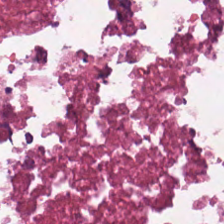Stain: hematoxylin and eosin.
Tile size: 224×224 px tile.
Acquisition: brightfield.
Classification: necrotic debris.
